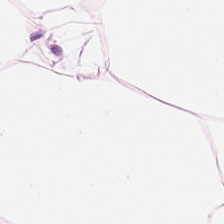Stain: H&E stain.
Tissue class: fat tissue.
